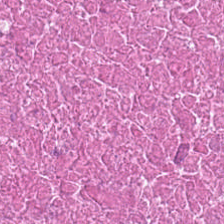Q: What is shown here?
A: Debris.
